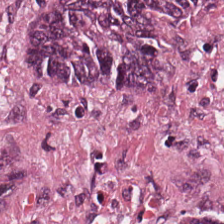Q: Classify this patch.
A: This is colorectal adenocarcinoma.
